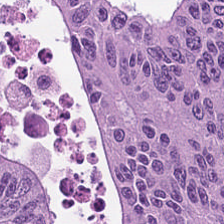H&E — Tissue = colorectal adenocarcinoma.
